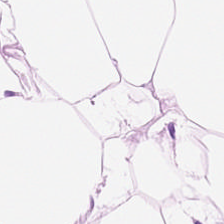Showing fat tissue.
